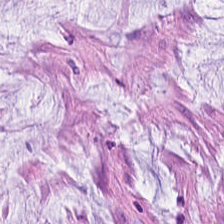H&E.
This patch shows mucin.
